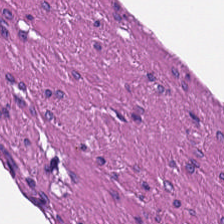Stain: H&E-stained tissue section.
Tissue class: muscularis.
